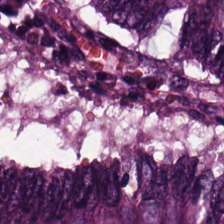Histology → colorectal adenocarcinoma epithelium.
